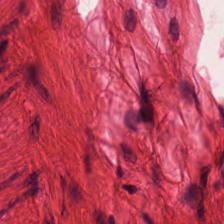Predominantly smooth-muscle tissue.
